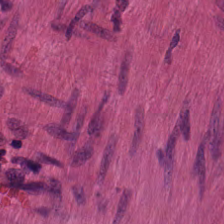Tissue = muscularis.
